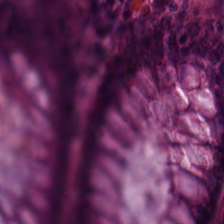This patch shows benign colonic mucosa.
